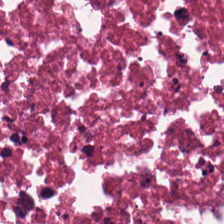H&E-stained tissue section; formalin-fixed paraffin-embedded section — Classification = cellular debris.
